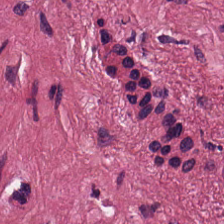Hematoxylin-and-eosin stained section. Finding → desmoplastic stroma.
